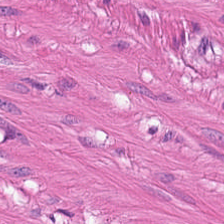Hematoxylin-and-eosin section: muscularis.
